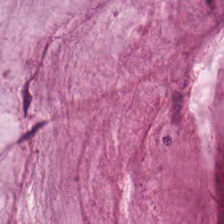This patch shows extracellular mucin.
